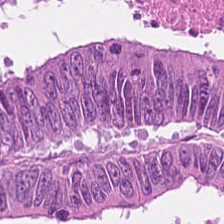Hematoxylin-and-eosin stained section — This field is colorectal adenocarcinoma.
